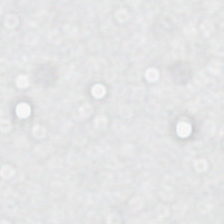Hematoxylin-and-eosin stained section; FFPE. Impression — background (no tissue).
